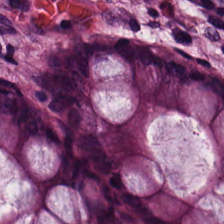Hematoxylin-and-eosin stained section.
Normal colon mucosa.
